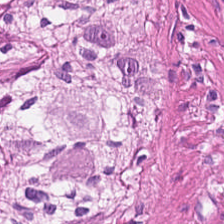H&E stain.
Predominantly smooth-muscle tissue.
